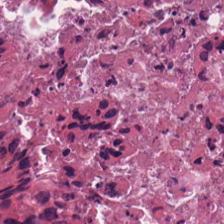H&E-stained tissue section — This field is debris.
